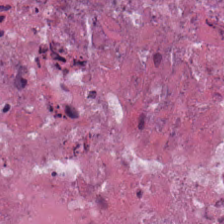Brightfield microscopy. H&E stain — Predominant tissue: debris.
